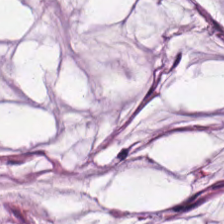Stain: H&E-stained tissue section.
Acquisition: WSI patch.
Tissue class: extracellular mucin.
